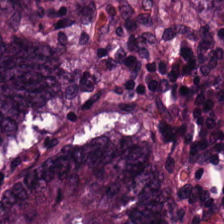The tissue type is tumor epithelium.
